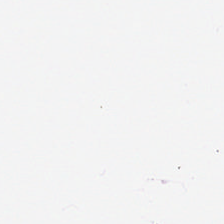H&E-stained tissue section · FFPE · 0.5 microns per pixel.
This field is adipose.
